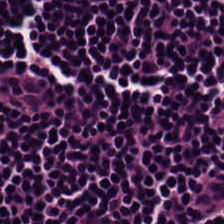H&E stain.
Showing lymphocytes.
